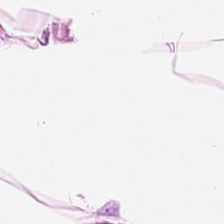20× equivalent magnification. H&E.
Showing fat tissue.
